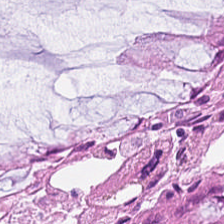224×224 pixel tile. 0.5 microns per pixel. H&E stain — {"tissue_type": "normal colon mucosa"}
